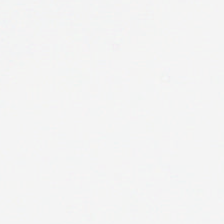H&E. Classification = no tissue.
